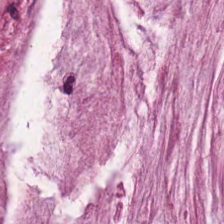Stain: hematoxylin and eosin.
Tissue: mucin.
